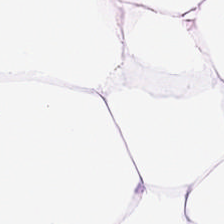FFPE; H&E-stained tissue section.
The tissue type is adipocytes.
